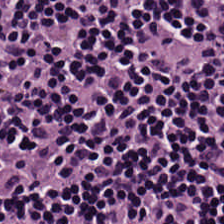H&E-stained tissue section — Finding → lymphocytic infiltrate.
